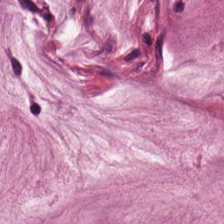Brightfield microscopy; H&E-stained tissue section — The tissue here is mucin.
